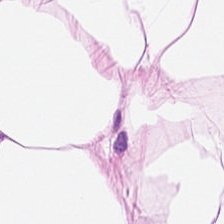H&E patch showing adipocytes.
